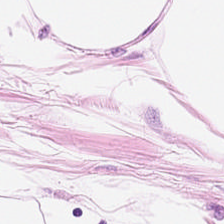H&E.
Q: What type of tissue is this?
A: This is adipose tissue.
